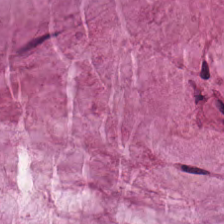0.5 µm/px · H&E stain — Predominant tissue — mucus.
